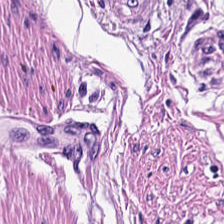224×224 px patch; H&E; WSI patch — The tissue here is smooth muscle.
